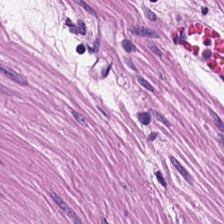FFPE; hematoxylin and eosin. Tissue class: smooth-muscle tissue.
